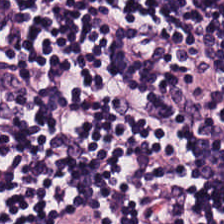Stain: H&E-stained tissue section.
Classification: lymphocytic infiltrate.
